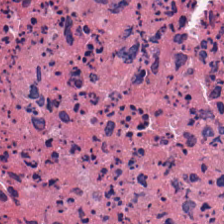Hematoxylin and eosin — Classification: cellular debris.
